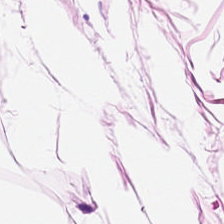Hematoxylin-and-eosin stained section. Classification = adipocytes.
